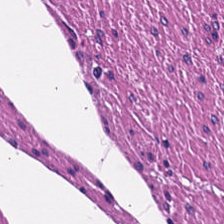Hematoxylin and eosin. {"tissue_type": "muscularis"}
